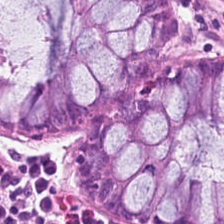Hematoxylin and eosin.
The tissue type is normal colonic mucosa.
